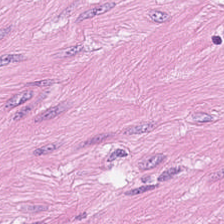{"tissue_type": "smooth-muscle tissue"}
